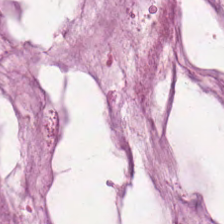Q: Identify the tissue.
A: It is mucin.
